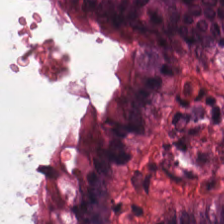{"tissue_type": "normal colonic mucosa"}
